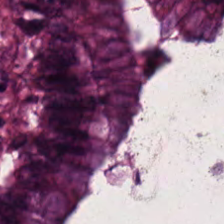Q: What tissue is shown?
A: This is normal colon mucosa.
